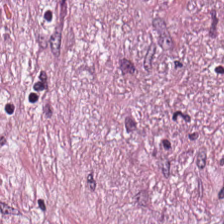224×224 px patch. H&E — Desmoplastic stroma.
